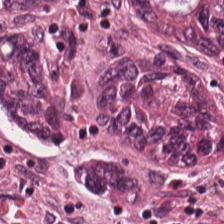Histology — tumor epithelium.
